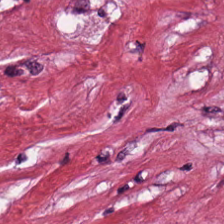Hematoxylin and eosin — Tissue class = tumor stroma.
